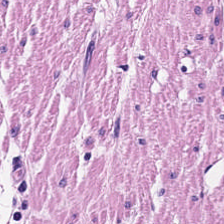Hematoxylin-and-eosin stained section. The predominant tissue is muscularis.
